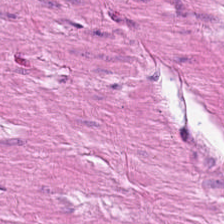Hematoxylin-and-eosin stained section — Smooth muscle.
